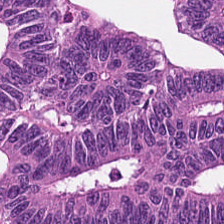Tissue type — adenocarcinoma.
